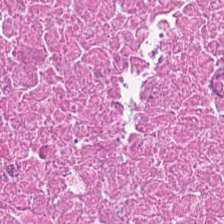H&E-stained tissue section showing necrotic debris.
